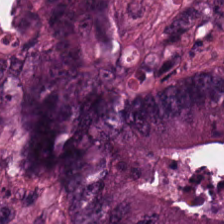H&E — The predominant tissue is colorectal adenocarcinoma.
